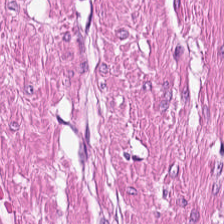Hematoxylin and eosin. 224×224 pixel tile. Tissue class — muscularis.
